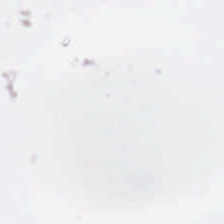Hematoxylin and eosin. Brightfield microscopy. 224×224 pixel tile. Finding → background.
